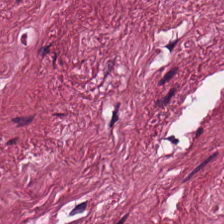Stain: hematoxylin-and-eosin stained section.
Tissue type: tumor-associated stroma.
